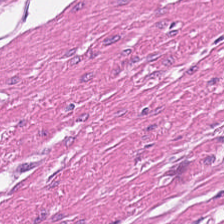H&E-stained tissue section. This field is smooth-muscle tissue.
